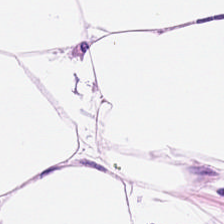Hematoxylin and eosin — Tissue — adipose.
